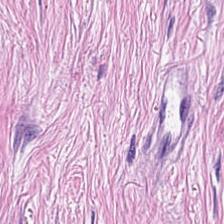Hematoxylin and eosin — Tumor-associated stroma.
